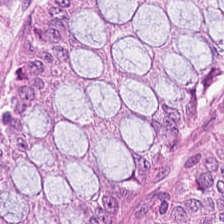H&E; whole-slide-image patch. Finding — benign colonic mucosa.
